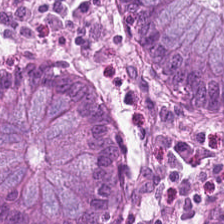224×224 pixel tile. Hematoxylin-and-eosin stained section — Normal colon mucosa.
